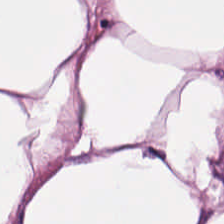H&E-stained tissue section. 0.5 microns per pixel.
Predominant tissue — adipose.
